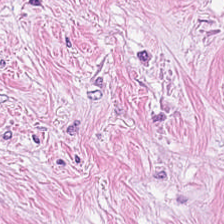The predominant tissue is tumor stroma.
